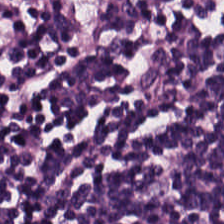Hematoxylin-and-eosin stained section.
Q: What is shown here?
A: It is lymphocytes.
